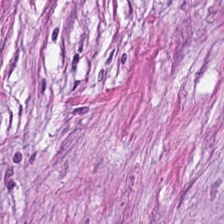This field is tumor-associated stroma.
